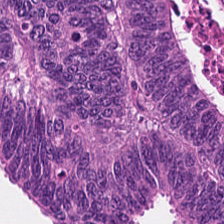Stain: H&E.
Preparation: formalin-fixed paraffin-embedded section.
Tile size: 224×224 px patch.
Tissue: colorectal adenocarcinoma.
